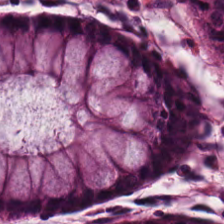Q: What tissue type is shown here?
A: It is normal colonic mucosa.
